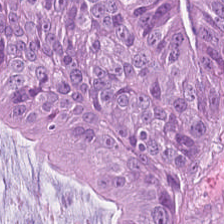Stain: H&E-stained tissue section.
Preparation: formalin-fixed paraffin-embedded section.
Tissue type: malignant epithelium.
